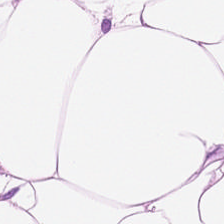H&E — This field is adipose.
